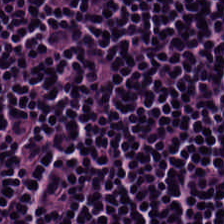Predominantly lymphocyte aggregate.
